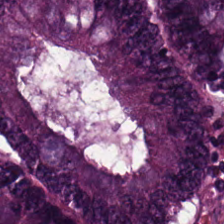H&E stain. Adenocarcinoma.
